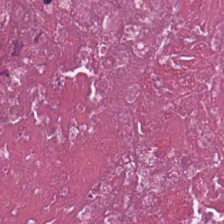H&E-stained tissue section — The tissue class is cellular debris.
